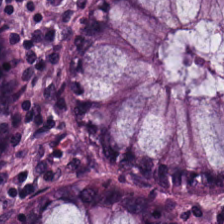Stain: H&E-stained tissue section.
Classification: normal colon mucosa.
